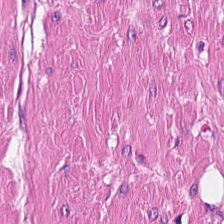H&E stain; brightfield. The classification is smooth-muscle tissue.
